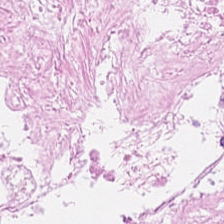H&E-stained tissue section showing debris.
